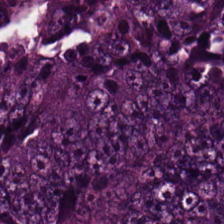Hematoxylin and eosin · brightfield microscopy. Q: What does this patch show?
A: The field shows colorectal adenocarcinoma.
